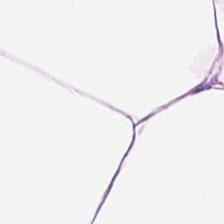Showing fat tissue.
